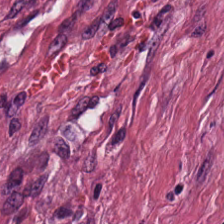224×224 px tile; FFPE; hematoxylin-and-eosin stained section — The predominant tissue is desmoplastic stroma.
